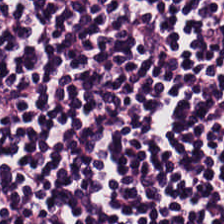Hematoxylin and eosin — This field is lymphocytes.
